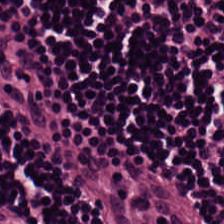Tissue type = lymphocyte aggregate.
